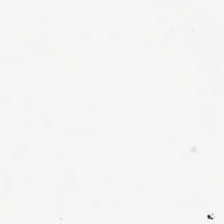This patch shows background.
